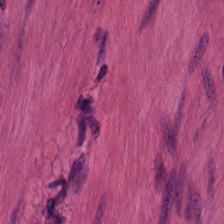H&E stain — Tissue class — muscularis.
